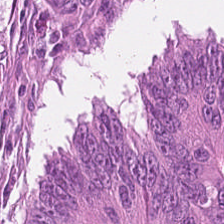The predominant tissue is colorectal adenocarcinoma epithelium.
